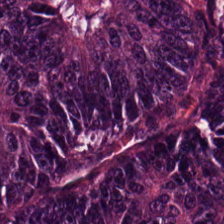H&E — tumor epithelium.
